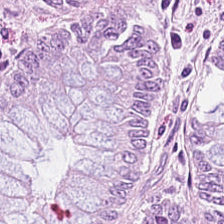H&E stain — Q: What is the predominant tissue type?
A: Non-neoplastic colon mucosa.
